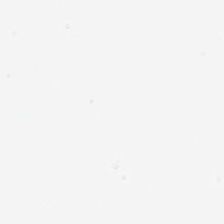0.5 microns per pixel. H&E. Background — no tissue in this field.
